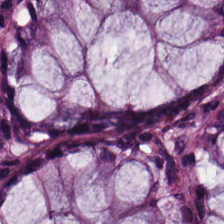H&E-stained tissue section. Benign colonic mucosa.
